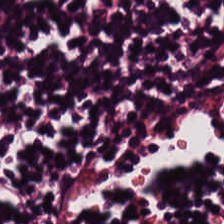H&E-stained tissue section. The predominant tissue is lymphocytes.
